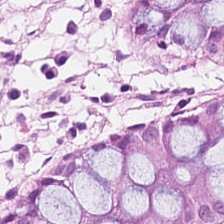Hematoxylin-and-eosin stained section. {"tissue_type": "normal colonic mucosa"}
